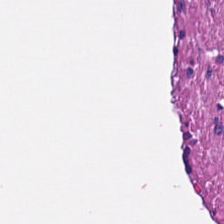H&E-stained tissue section. Whole-slide-image patch. This patch shows muscularis.
